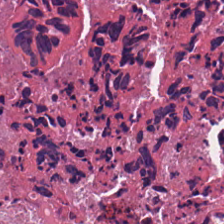H&E-stained section; the field shows debris.
